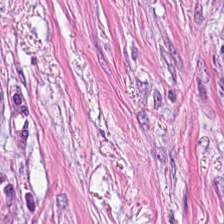Hematoxylin and eosin. This patch shows tumor-associated stroma.
